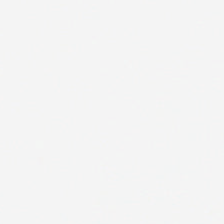Q: What is shown here?
A: It is background.
